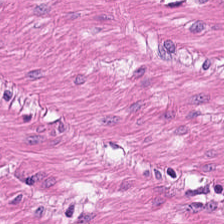Impression — smooth muscle.
